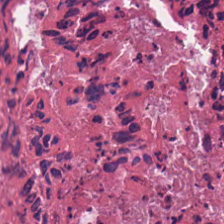Hematoxylin-and-eosin stained section.
The tissue here is cellular debris.
